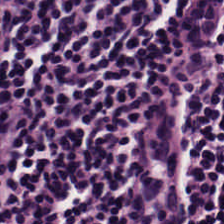H&E-stained tissue section.
The tissue class is lymphocytic infiltrate.
